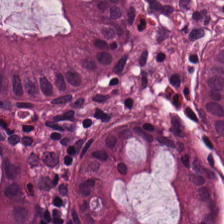Formalin-fixed paraffin-embedded section; hematoxylin and eosin; 224×224 pixel tile. Q: Classify this patch.
A: The field shows normal colonic mucosa.
